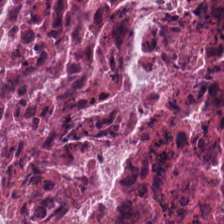H&E-stained tissue section.
Debris.
